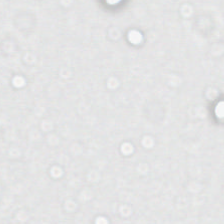Background.
